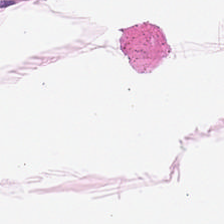H&E stain.
This patch shows adipocytes.
